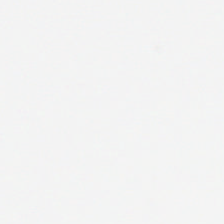Hematoxylin-and-eosin stained section.
Q: Classify this patch.
A: This is background (no tissue).
